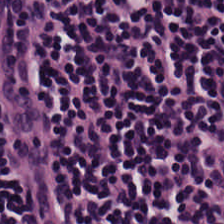H&E stain; brightfield microscopy. Predominantly lymphocyte aggregate.
